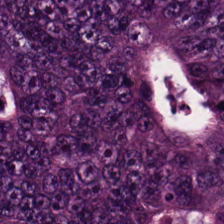H&E-stained tissue section — Colorectal adenocarcinoma epithelium.
